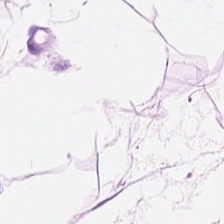Stain: H&E.
Resolution: 0.5 µm per pixel.
Classification: adipocytes.
